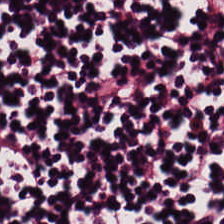Hematoxylin-and-eosin stained section.
Showing lymphocytic infiltrate.
